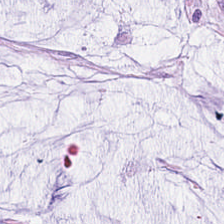Q: What is shown here?
A: Mucin.
